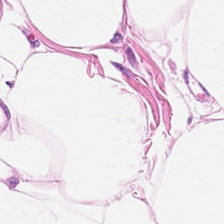H&E. The tissue class is adipocytes.
